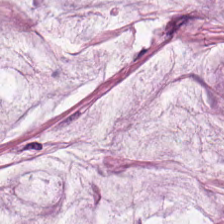H&E-stained tissue section. Mucin.
